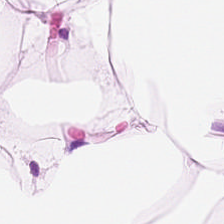H&E-stained tissue section. Predominantly fat tissue.
